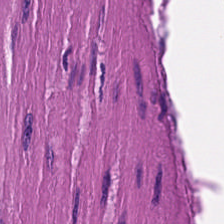Stain: H&E.
Predominant tissue: smooth-muscle tissue.
